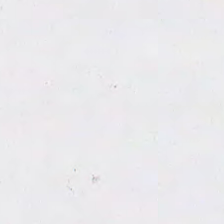0.5 µm/px; hematoxylin-and-eosin stained section.
The field content is background.
